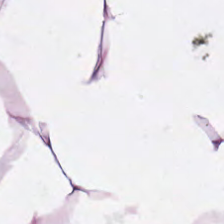20× equivalent magnification; H&E stain.
This field is fat tissue.
